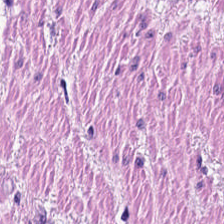Whole-slide-image patch. H&E stain — Q: What tissue type is shown here?
A: This is muscularis.
